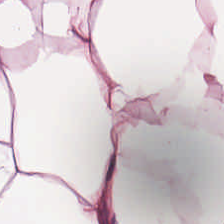Hematoxylin-and-eosin stained section.
Q: What tissue type is shown here?
A: It is adipocytes.
